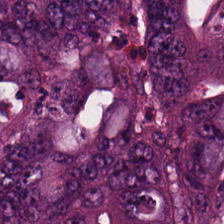Hematoxylin and eosin · 224×224 px patch. Showing adenocarcinoma.
